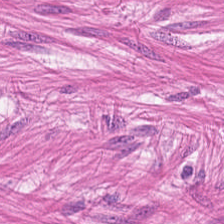Formalin-fixed paraffin-embedded section; H&E-stained tissue section.
{"tissue_type": "smooth-muscle tissue"}
